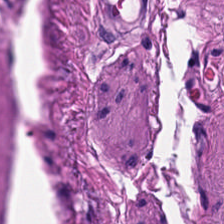0.5 microns per pixel; WSI patch; H&E stain. This field is smooth-muscle tissue.
